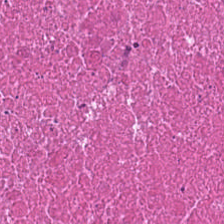H&E-stained tissue section. This patch shows necrotic debris.
